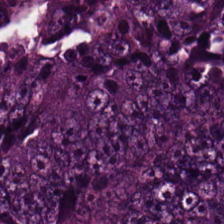Hematoxylin and eosin.
The tissue is tumor epithelium.
